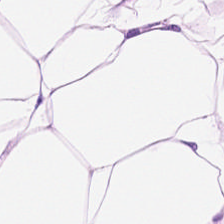H&E — Histology — adipose.
